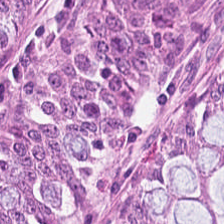Q: What tissue type is shown here?
A: This is benign colonic mucosa.
